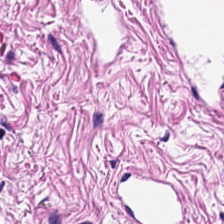H&E stain.
Impression → smooth muscle.
